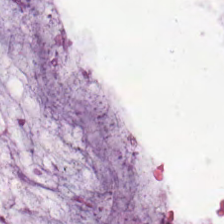H&E. Tissue = non-neoplastic colon mucosa.
